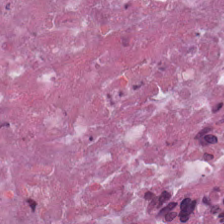Formalin-fixed paraffin-embedded section. Hematoxylin-and-eosin stained section. The tissue here is cellular debris.
